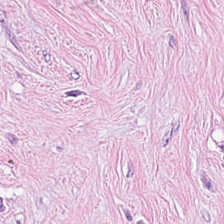{"tissue_type": "cancer-associated stroma"}
